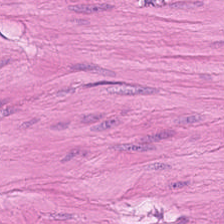This field is smooth muscle.
